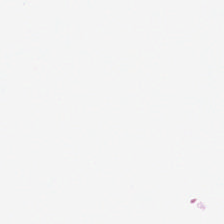H&E — Finding → background.
